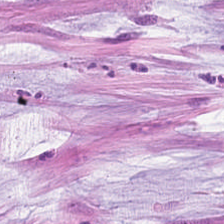Formalin-fixed paraffin-embedded section. H&E-stained tissue section. Classification: mucus.
